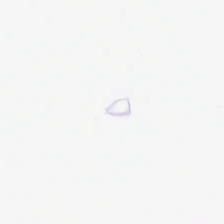H&E. Histology → no tissue.
